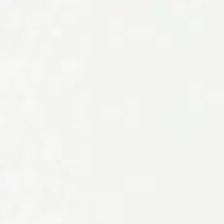Stain: hematoxylin and eosin.
Resolution: 0.5 µm per pixel.
Field content: no tissue.
